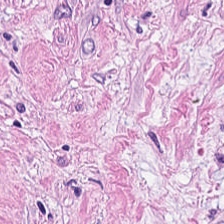Hematoxylin-and-eosin stained section · formalin-fixed paraffin-embedded section.
Showing tumor stroma.
